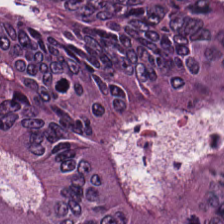Whole-slide-image patch; hematoxylin and eosin.
Showing malignant epithelium.
